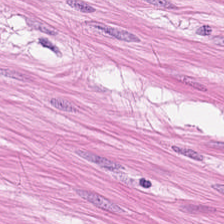Predominant tissue = smooth-muscle tissue.
